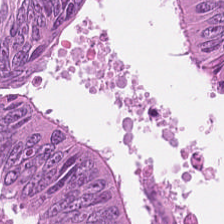Hematoxylin-and-eosin stained section — Q: What is the predominant tissue type?
A: The field shows malignant epithelium.
